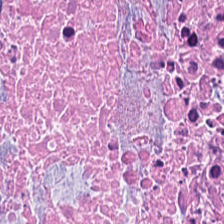Stain: H&E stain.
Tissue type: debris.
